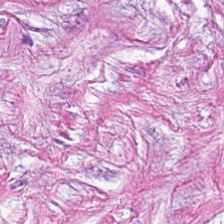H&E-stained tissue section. 20× equivalent magnification. This field is desmoplastic stroma.
